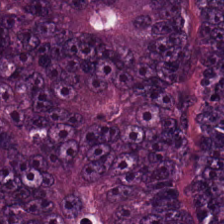Brightfield microscopy · 0.5 µm per pixel · H&E stain. Colorectal adenocarcinoma epithelium.
